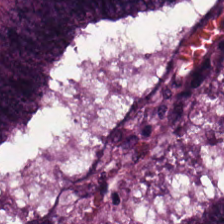H&E stain. 0.5 µm/px — The predominant tissue is adenocarcinoma.
